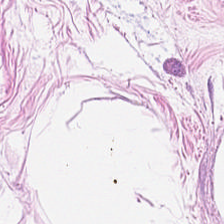Stain: H&E.
Tissue type: adipose.
